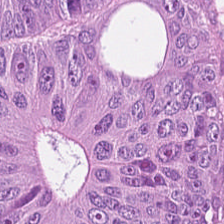H&E. This patch shows colorectal adenocarcinoma epithelium.
